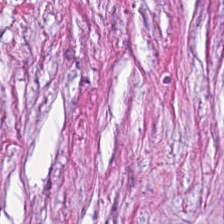Brightfield; hematoxylin and eosin. Q: What is shown here?
A: Tumor stroma.
